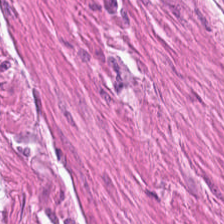H&E stain · brightfield.
Tissue = smooth muscle.
